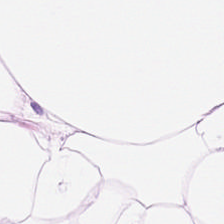0.5 µm per pixel. Hematoxylin and eosin. Formalin-fixed paraffin-embedded section. Predominant tissue: adipocytes.
